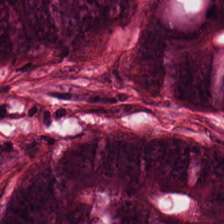The predominant tissue is malignant epithelium.
